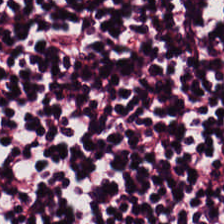H&E.
The tissue is lymphoid infiltrate.
